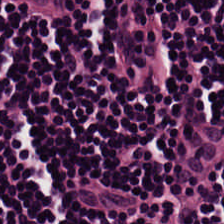Classification — lymphocytic infiltrate.
